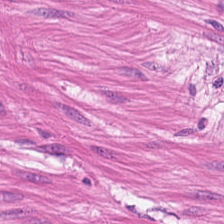Whole-slide-image patch · hematoxylin and eosin — Tissue class: smooth muscle.
